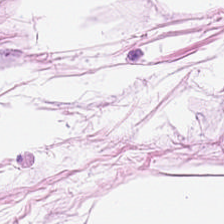H&E-stained tissue section.
Q: What is shown in this field?
A: This is adipocytes.
